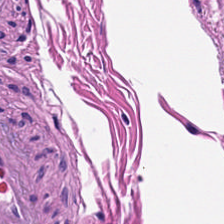Stain: H&E stain.
Resolution: 0.5 microns per pixel.
Classification: smooth-muscle tissue.
